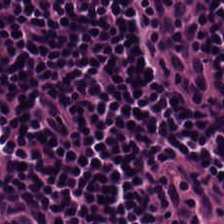0.5 µm per pixel · hematoxylin-and-eosin stained section — Q: Identify the tissue.
A: This is lymphocyte aggregate.
